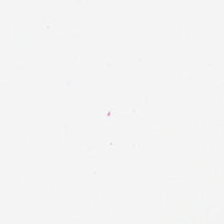H&E.
{"content": "no tissue"}
